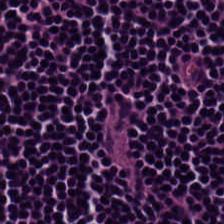Brightfield microscopy; hematoxylin and eosin; 0.5 µm per pixel.
This patch shows lymphocytes.
